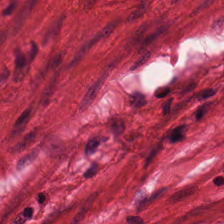The tissue type is smooth-muscle tissue.
